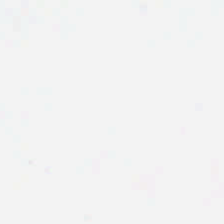H&E-stained tissue section · 20× equivalent magnification.
Impression → no tissue.
